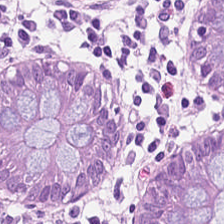Tissue — normal colon mucosa.
